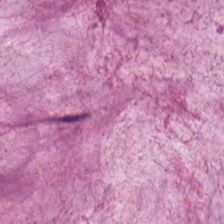Stain: H&E.
Tissue class: extracellular mucin.
